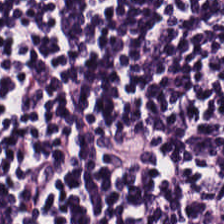H&E.
{"tissue_type": "lymphocyte aggregate"}
